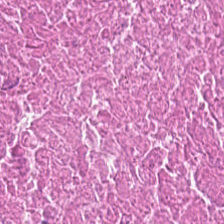H&E · FFPE tissue section.
Tissue class: debris.
